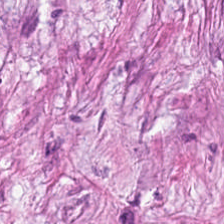Brightfield microscopy; hematoxylin and eosin.
Tissue: tumor-associated stroma.
